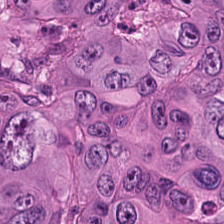Q: What is shown here?
A: Colorectal adenocarcinoma epithelium.
